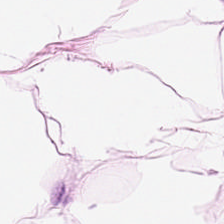Whole-slide-image patch. H&E.
Impression → adipocytes.
